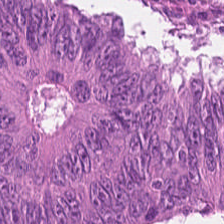Hematoxylin-and-eosin stained section. FFPE tissue section. Histology — adenocarcinoma.
